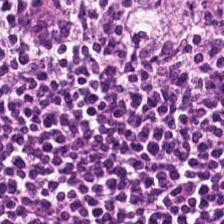Stain: H&E stain.
Classification: lymphocytic infiltrate.
